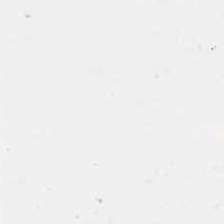224×224 px patch · H&E stain. Field content = background (no tissue).
